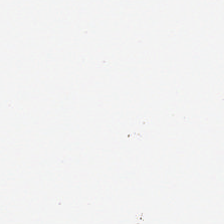Hematoxylin and eosin — Impression → background.
